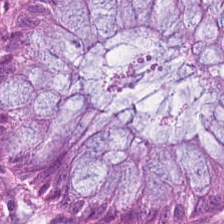Hematoxylin-and-eosin stained section — Classification: normal colon mucosa.
